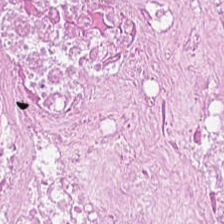Hematoxylin and eosin; brightfield microscopy. Q: What does this patch show?
A: This is debris.
